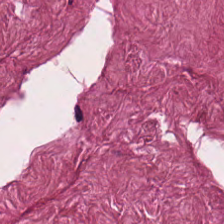H&E — {"tissue_type": "tumor-associated stroma"}
